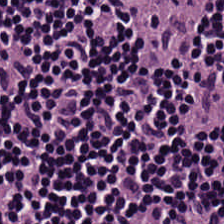Hematoxylin and eosin.
Predominantly lymphocytes.
